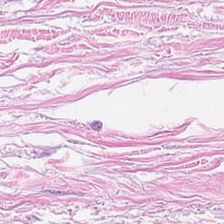Hematoxylin-and-eosin section: tumor stroma.
